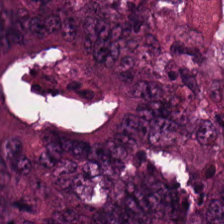The tissue is colorectal adenocarcinoma epithelium.
